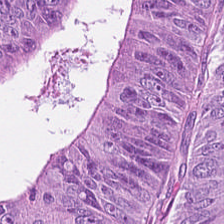Tissue type — tumor epithelium.
